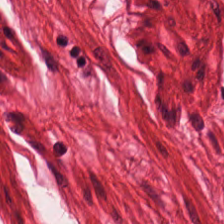Hematoxylin-and-eosin stained section.
{"tissue_type": "muscularis"}
